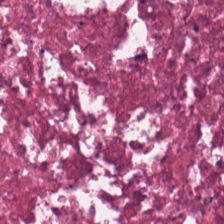Hematoxylin-and-eosin stained section — The classification is debris.
